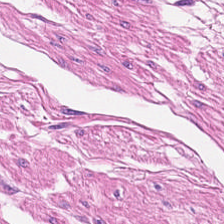H&E stain — The tissue type is smooth muscle.
